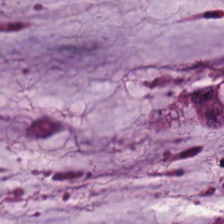H&E.
Predominant tissue — mucus.
